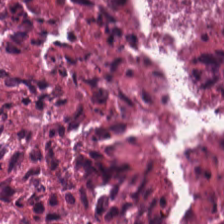Predominantly cellular debris.
